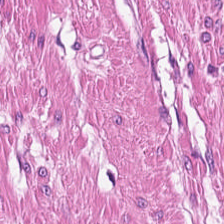Hematoxylin-and-eosin stained section · brightfield · FFPE. Predominant tissue = smooth muscle.
